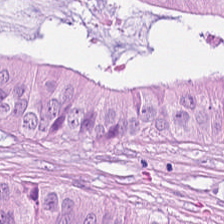0.5 µm per pixel · H&E-stained tissue section. This patch shows colorectal adenocarcinoma epithelium.
